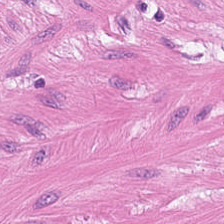This patch shows muscularis.
